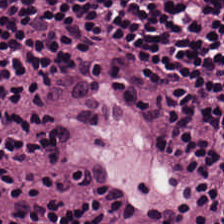Hematoxylin-and-eosin stained section.
The tissue class is lymphoid infiltrate.
